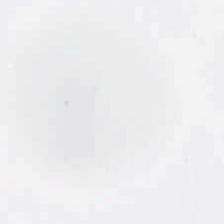Impression → no tissue.
